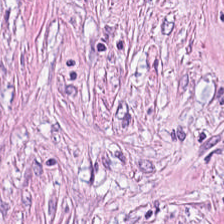Histology — cancer-associated stroma.
